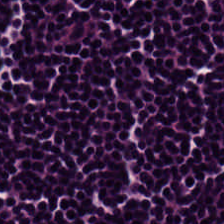Tissue type: lymphocytic infiltrate.
